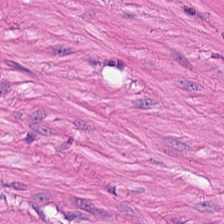H&E stain; whole-slide-image patch. Impression → smooth muscle.
